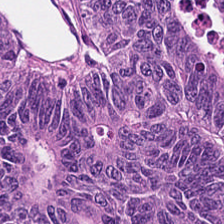H&E.
Q: What type of tissue is this?
A: It is malignant epithelium.
